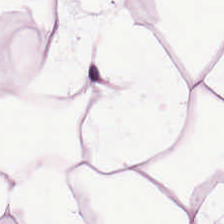Brightfield microscopy; hematoxylin and eosin; FFPE. The predominant tissue is adipose.
